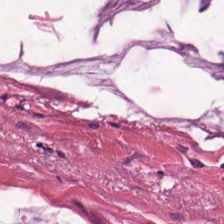H&E. FFPE tissue section. The predominant tissue is mucin.
